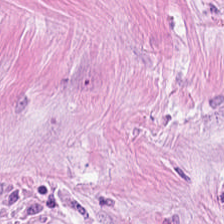H&E-stained tissue section showing desmoplastic stroma.
